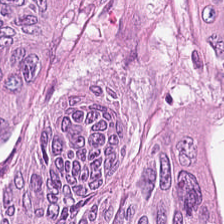H&E stain · whole-slide-image patch · 0.5 µm/px.
Q: What is shown in this field?
A: It is tumor epithelium.
